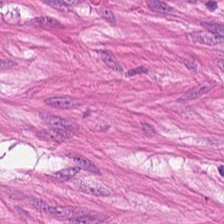H&E-stained tissue section.
This field is muscularis.
